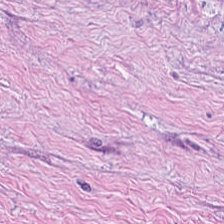H&E stain.
Impression → cancer-associated stroma.
